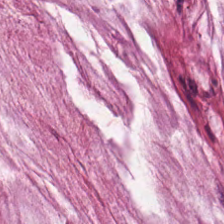Hematoxylin and eosin.
The tissue here is extracellular mucin.
